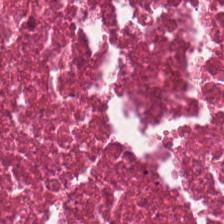Impression → debris.
